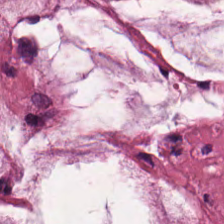H&E. 20× equivalent magnification — The tissue here is mucin.
